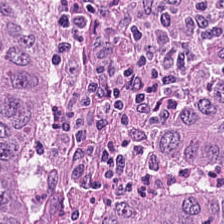224×224 px patch. Hematoxylin and eosin. This patch shows adenocarcinoma.
